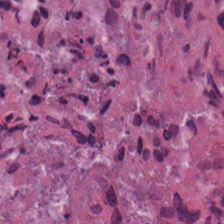H&E. FFPE tissue section — Q: What is shown in this field?
A: It is cellular debris.
